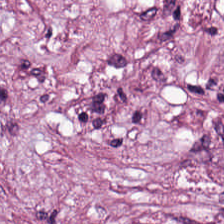224×224 px tile; H&E-stained tissue section.
Impression — tumor-associated stroma.
